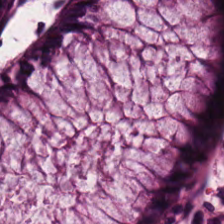H&E. Whole-slide-image patch. Formalin-fixed paraffin-embedded section. The classification is benign colonic mucosa.
